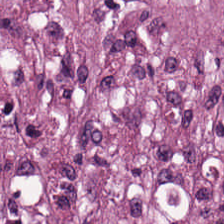H&E-stained tissue section · 224×224 pixel tile · formalin-fixed paraffin-embedded section — Tissue class: tumor-associated stroma.
